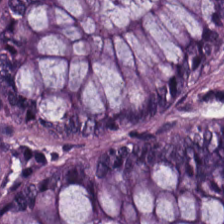Hematoxylin-and-eosin stained section. This patch shows normal colonic mucosa.
